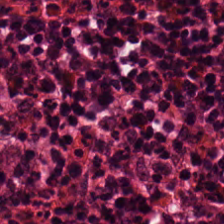0.5 µm/px. Hematoxylin-and-eosin stained section — The tissue here is normal colonic mucosa.
